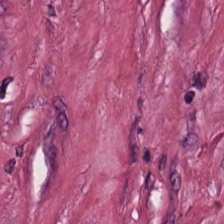H&E stain. Desmoplastic stroma.
